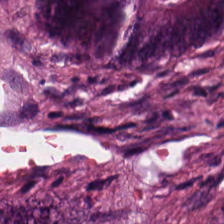H&E stain.
Q: Classify this patch.
A: This is colorectal adenocarcinoma epithelium.
